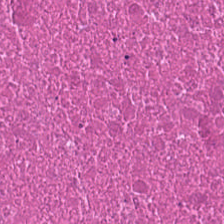WSI patch · hematoxylin-and-eosin stained section. Tissue type = necrotic debris.
